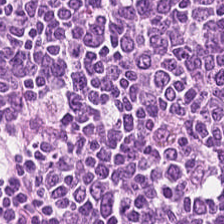Classification = lymphocytic infiltrate.
